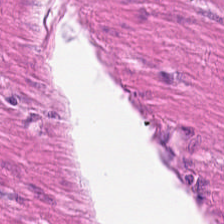Formalin-fixed paraffin-embedded section; H&E-stained tissue section — Q: What does this patch show?
A: It is muscularis.
